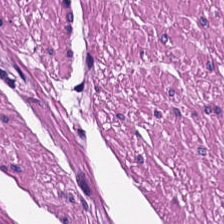Hematoxylin-and-eosin stained section.
Smooth muscle.
